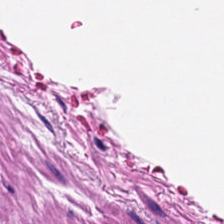Hematoxylin and eosin. Classification = smooth-muscle tissue.
